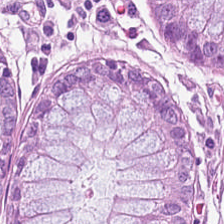0.5 µm per pixel. H&E-stained tissue section. The predominant tissue is normal colon mucosa.
